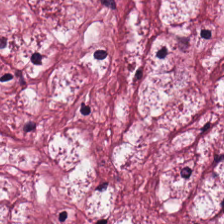Q: What is shown in this field?
A: The field shows desmoplastic stroma.
